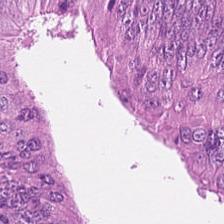H&E-stained tissue section; whole-slide-image patch; 224×224 pixel tile. Tissue class — adenocarcinoma.
